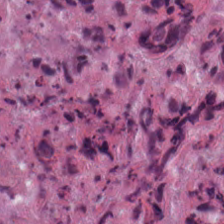H&E-stained tissue section. {"tissue_type": "debris"}
